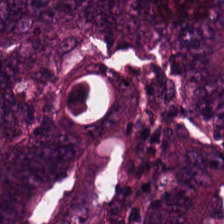Stain: H&E stain.
Tile size: 224×224 px tile.
Tissue class: malignant epithelium.
